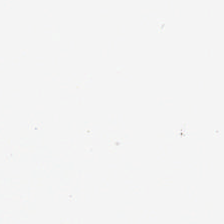WSI patch · H&E-stained tissue section.
Q: Classify this patch.
A: This is no tissue.
